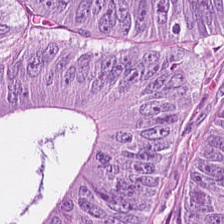Predominant tissue — colorectal adenocarcinoma.
